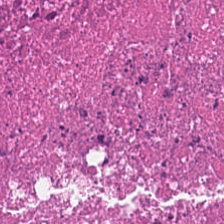H&E-stained tissue section — Predominantly necrotic debris.
